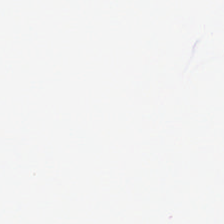Hematoxylin-and-eosin stained section. Brightfield — Q: What is shown in this field?
A: No tissue.
